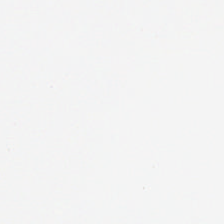Empty field — empty background.
